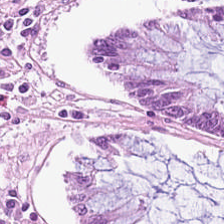Hematoxylin-and-eosin stained section.
Normal colonic mucosa.
